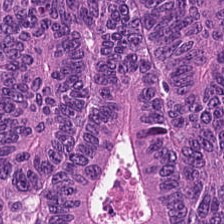20× equivalent magnification. H&E stain. Impression → colorectal adenocarcinoma.
